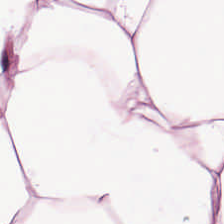H&E-stained tissue section — This patch shows adipocytes.
